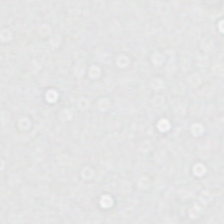The content is empty background.
